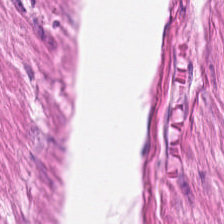Hematoxylin-and-eosin stained section.
This field is smooth-muscle tissue.
